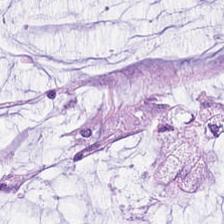Hematoxylin and eosin. Tissue type — mucin.
